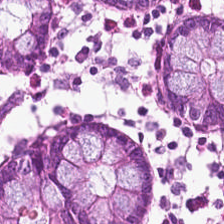H&E-stained tissue section. Predominantly non-neoplastic colon mucosa.
